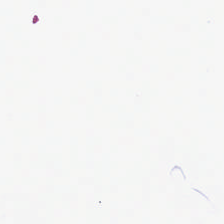H&E.
Q: What is shown here?
A: Empty background.
